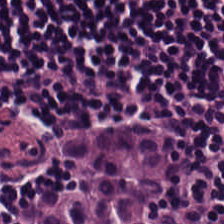H&E-stained tissue section showing lymphocyte aggregate.
